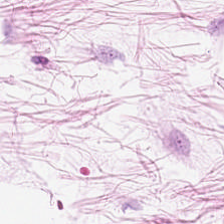H&E stain · 0.5 µm/px — The predominant tissue is adipocytes.
